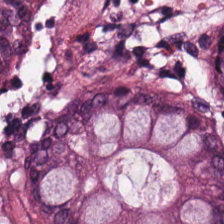Stain: hematoxylin-and-eosin stained section.
Preparation: FFPE tissue section.
Tissue type: non-neoplastic colon mucosa.
